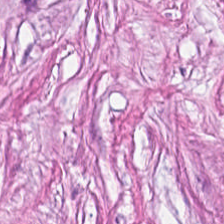H&E · brightfield.
Tissue = cancer-associated stroma.
